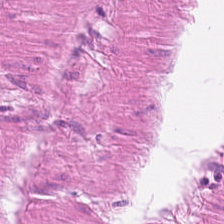H&E · 0.5 µm/px.
The predominant tissue is smooth muscle.
